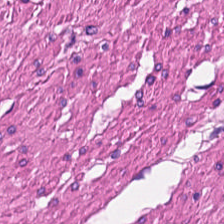Hematoxylin-and-eosin stained section.
This patch shows muscularis.
